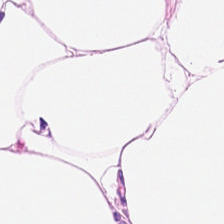Hematoxylin and eosin. Q: Identify the tissue.
A: Fat tissue.
